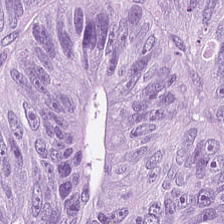H&E. FFPE.
The tissue type is malignant epithelium.
